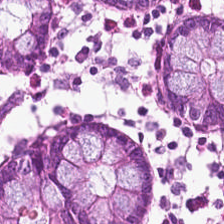H&E-stained section; the field shows benign colonic mucosa.
